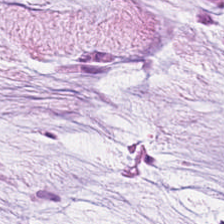224×224 px patch · H&E-stained tissue section. {"tissue_type": "mucus"}
